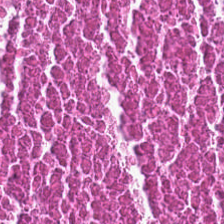0.5 µm/px. H&E — {"tissue_type": "debris"}
